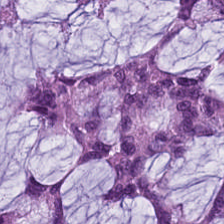H&E-stained tissue section.
Extracellular mucin.
